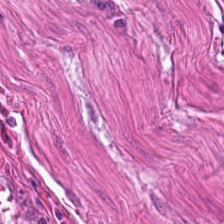H&E — smooth-muscle tissue.
